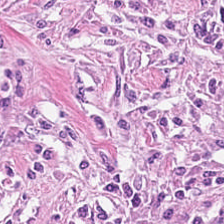224×224 pixel tile; H&E; FFPE. Q: What is the predominant tissue type?
A: The field shows cancer-associated stroma.
